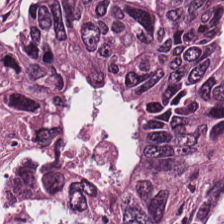H&E — Q: Classify this patch.
A: The field shows colorectal adenocarcinoma.
